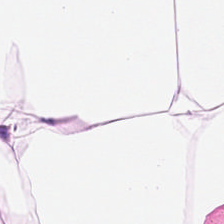H&E · whole-slide-image patch — Histology → adipose.
